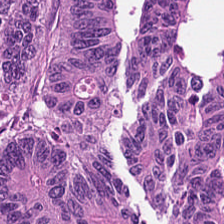Hematoxylin and eosin.
Showing tumor epithelium.
